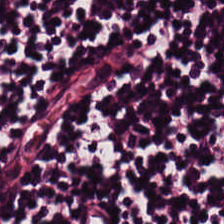H&E stain.
The tissue type is lymphocytes.
